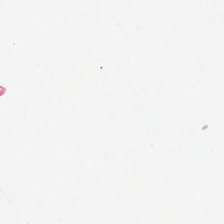Hematoxylin and eosin — No tissue present; background only.
